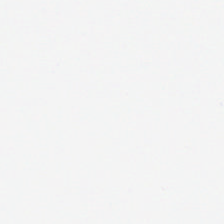H&E.
Q: Classify this patch.
A: It is background.
